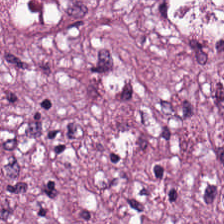H&E. Classification: tumor stroma.
